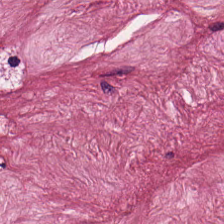H&E.
Predominant tissue — tumor-associated stroma.
